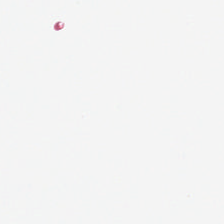Stain: H&E.
Field content: no tissue.
